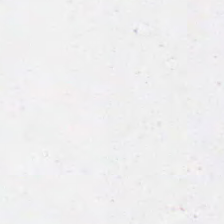Finding → background (no tissue).
